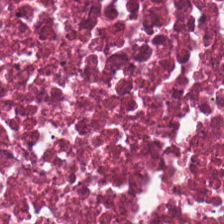Stain: hematoxylin-and-eosin stained section.
Tile size: 224×224 px tile.
Classification: cellular debris.
